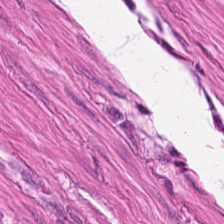Tissue class — smooth-muscle tissue.
